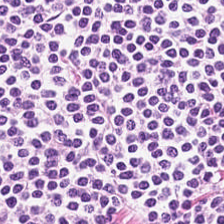H&E-stained tissue section · 0.5 µm/px · brightfield microscopy.
The predominant tissue is lymphocytes.
